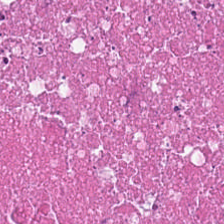H&E; 224×224 pixel tile — Necrotic debris.
